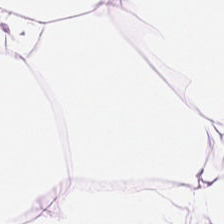H&E stain — Q: What type of tissue is this?
A: The field shows adipose.
